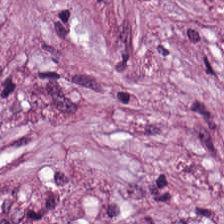Stain: H&E stain.
Tissue type: cancer-associated stroma.
